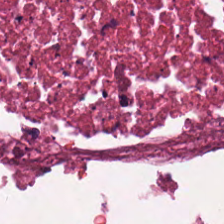H&E stain; FFPE.
Classification: cellular debris.
